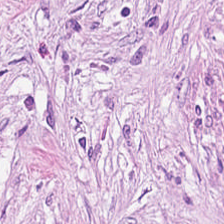Stain: H&E-stained tissue section.
Tile size: 224×224 px patch.
Acquisition: brightfield microscopy.
Predominant tissue: tumor stroma.
